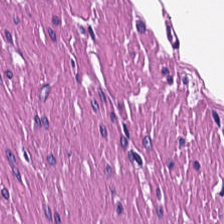Hematoxylin-and-eosin section: smooth-muscle tissue.
